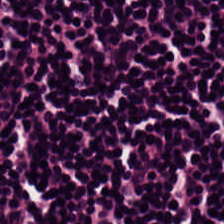224×224 px patch · brightfield microscopy · H&E — Predominantly lymphocytes.
